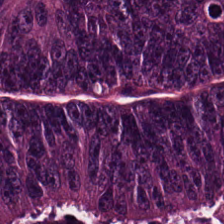Impression → malignant epithelium.
